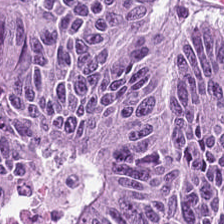Hematoxylin-and-eosin stained section. The predominant tissue is tumor epithelium.
